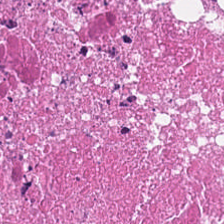Stain: hematoxylin and eosin.
Preparation: FFPE.
Resolution: 20× equivalent magnification.
Tissue: necrotic debris.
